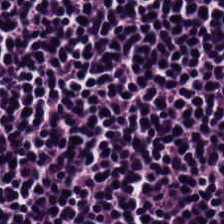The tissue class is lymphocytes.
